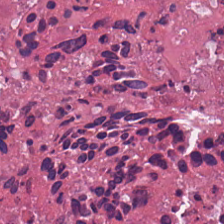FFPE tissue section · hematoxylin-and-eosin stained section. Tissue class = debris.
